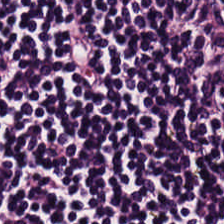Hematoxylin and eosin.
Showing lymphocytic infiltrate.
